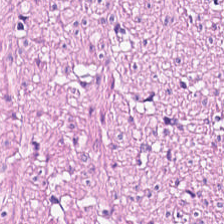Hematoxylin-and-eosin stained section.
Tissue — smooth-muscle tissue.
